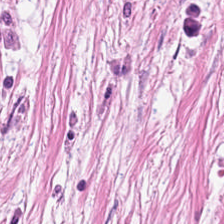Hematoxylin and eosin.
Predominant tissue: tumor-associated stroma.
